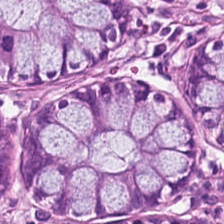Stain: hematoxylin-and-eosin stained section.
Tissue class: normal colonic mucosa.
